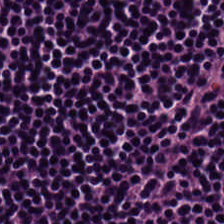The tissue here is lymphocyte aggregate.
